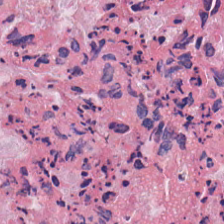H&E — The tissue class is debris.
